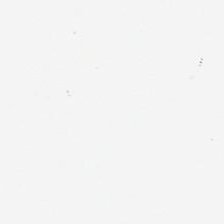Formalin-fixed paraffin-embedded section · H&E. This patch shows empty background.
